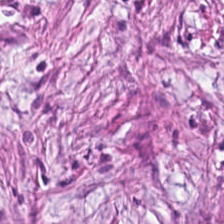H&E-stained tissue section; 224×224 pixel tile. Desmoplastic stroma.
